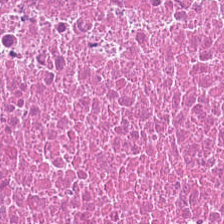Stain: H&E-stained tissue section.
Resolution: 0.5 µm/px.
Acquisition: brightfield microscopy.
Predominant tissue: necrotic debris.
